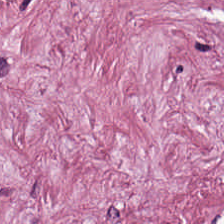Hematoxylin-and-eosin stained section.
Q: Identify the tissue.
A: The field shows cancer-associated stroma.
